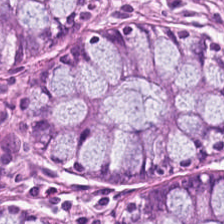H&E-stained tissue section. {"tissue_type": "normal colonic mucosa"}
